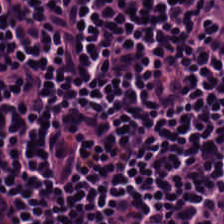Stain: H&E.
Tissue: lymphocytes.
